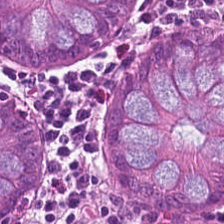Brightfield; hematoxylin and eosin. Showing non-neoplastic colon mucosa.
